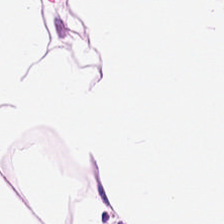Hematoxylin-and-eosin stained section. 224×224 px patch. Tissue = adipose tissue.
